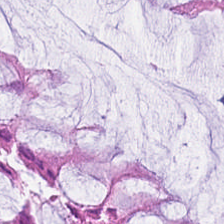The predominant tissue is normal colonic mucosa.
